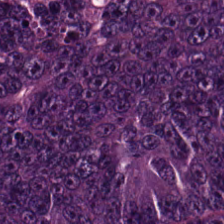H&E — The tissue class is colorectal adenocarcinoma epithelium.
